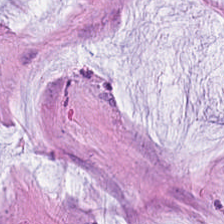Formalin-fixed paraffin-embedded section · hematoxylin-and-eosin stained section · 0.5 microns per pixel. Q: What is the predominant tissue type?
A: Mucus.
